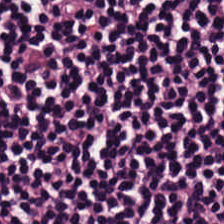Hematoxylin and eosin.
The predominant tissue is lymphocyte aggregate.
